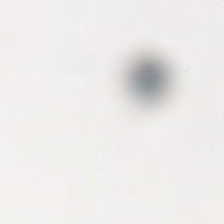Q: What does this patch show?
A: Background.
